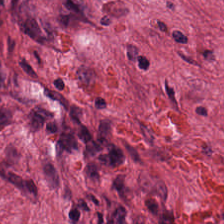Hematoxylin and eosin.
Showing tumor stroma.
